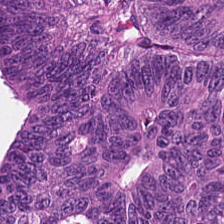H&E stain.
Showing colorectal adenocarcinoma epithelium.
